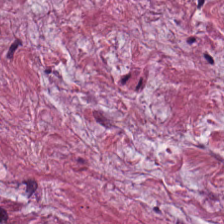Q: Classify this patch.
A: Tumor stroma.
